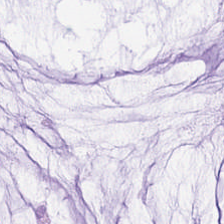H&E-stained tissue section.
The tissue type is mucus.
